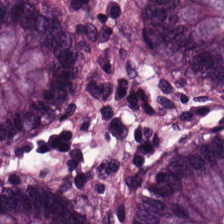Hematoxylin and eosin; brightfield microscopy.
Q: What is the predominant tissue type?
A: This is normal colonic mucosa.
